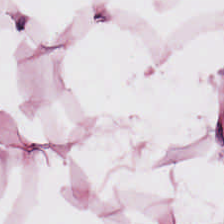H&E-stained tissue section showing adipocytes.
